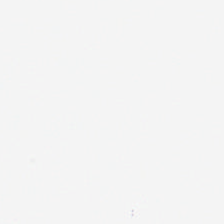Hematoxylin-and-eosin stained section. This field is background (no tissue).
